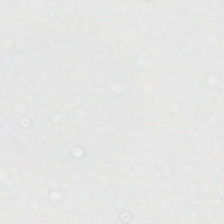Hematoxylin-and-eosin stained section. Whole-slide-image patch. 224×224 px patch.
Classification: background (no tissue).
